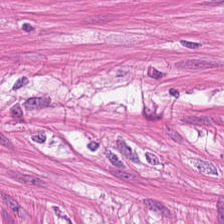Stain: H&E.
Tissue class: muscularis.
